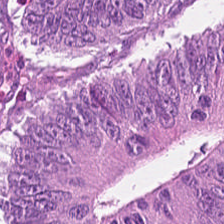H&E patch showing adenocarcinoma.
